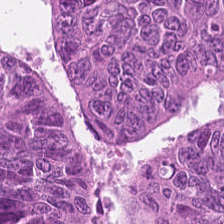Q: What is shown in this field?
A: Adenocarcinoma.
